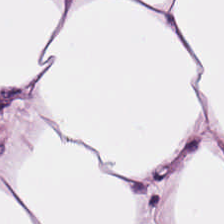Stain: hematoxylin-and-eosin stained section.
Preparation: FFPE tissue section.
Classification: adipocytes.
